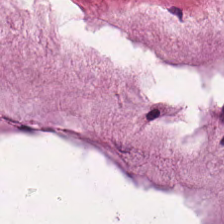FFPE tissue section; hematoxylin and eosin. The predominant tissue is mucin.
